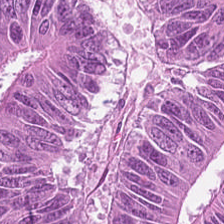Brightfield. H&E-stained tissue section. 0.5 µm per pixel.
This patch shows colorectal adenocarcinoma.
